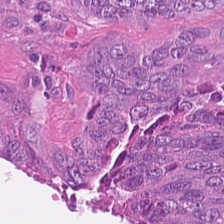H&E-stained tissue section. Malignant epithelium.
